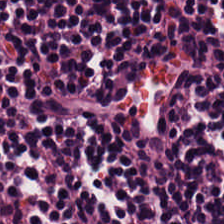Q: What is shown in this field?
A: This is lymphocyte aggregate.
